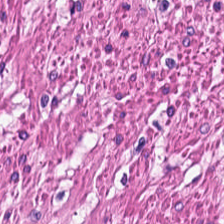Stain: hematoxylin and eosin.
Predominant tissue: muscularis.
